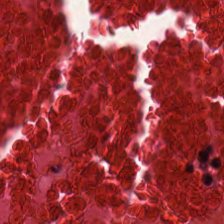Q: What tissue is shown?
A: Debris.
